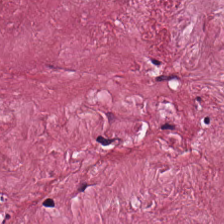Stain: hematoxylin and eosin.
Resolution: 0.5 microns per pixel.
Predominant tissue: cancer-associated stroma.
